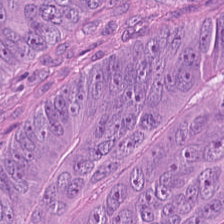Hematoxylin and eosin.
Impression → colorectal adenocarcinoma epithelium.
